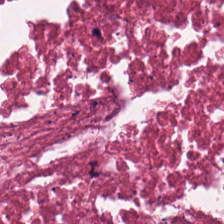H&E-stained tissue section.
The tissue here is cellular debris.
